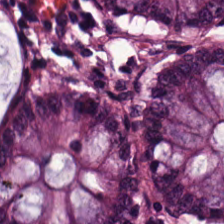Formalin-fixed paraffin-embedded section; WSI patch; H&E-stained tissue section. {"tissue_type": "benign colonic mucosa"}
